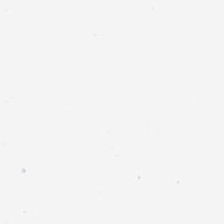No tissue present; background only.
